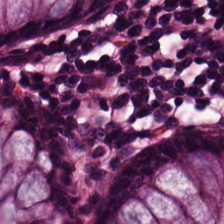H&E stain · 0.5 µm/px. Showing normal colonic mucosa.
